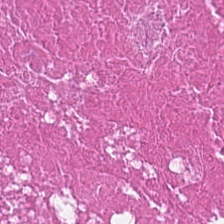H&E-stained tissue section showing debris.
